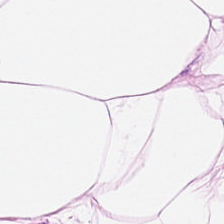224×224 px patch · 0.5 µm/px · hematoxylin and eosin. Predominantly adipose tissue.
